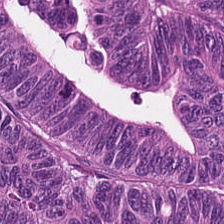20× equivalent magnification · 224×224 px tile · hematoxylin-and-eosin stained section.
The predominant tissue is adenocarcinoma.
